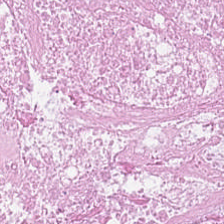Stain: hematoxylin-and-eosin stained section.
Acquisition: whole-slide-image patch.
Tile size: 224×224 pixel tile.
Tissue type: necrotic debris.
